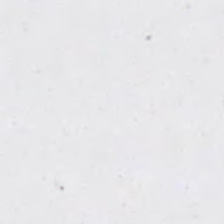Field content: no tissue.
